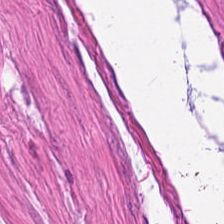Tissue: smooth-muscle tissue.
